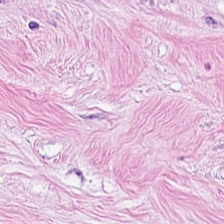H&E-stained tissue section; brightfield — Tumor-associated stroma.
